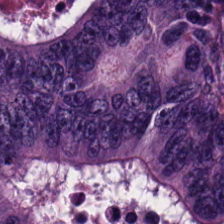H&E.
Tissue: colorectal adenocarcinoma.
